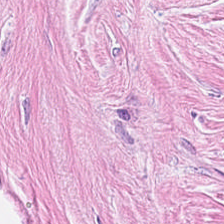Hematoxylin-and-eosin section: cancer-associated stroma.
